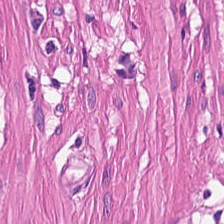Stain: H&E.
Classification: muscularis.
